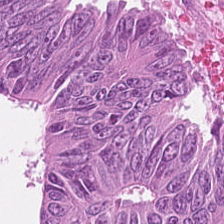H&E — The predominant tissue is colorectal adenocarcinoma.
